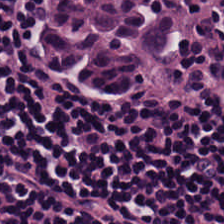Hematoxylin-and-eosin stained section. Predominantly lymphocyte aggregate.
